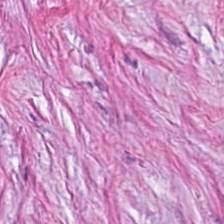Stain: H&E-stained tissue section.
Classification: cancer-associated stroma.
